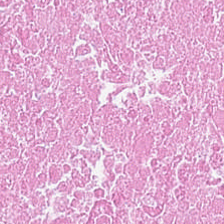FFPE tissue section · hematoxylin-and-eosin stained section. Tissue type = necrotic debris.
